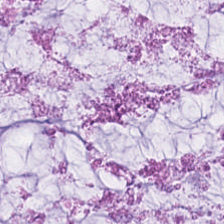Hematoxylin and eosin. This field is extracellular mucin.
